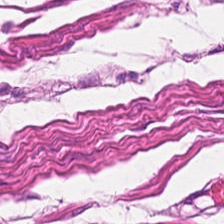FFPE · 0.5 microns per pixel · H&E stain.
Q: Identify the tissue.
A: Smooth muscle.
